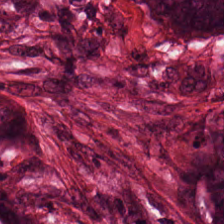Tissue — adenocarcinoma.
